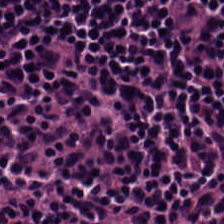H&E-stained tissue section. Whole-slide-image patch. 0.5 µm per pixel. Tissue class — lymphocytes.
